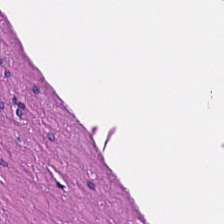H&E stain. Q: What is shown here?
A: Muscularis.
